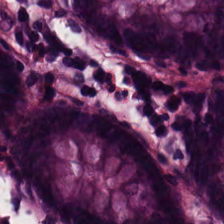Q: Identify the tissue.
A: This is benign colonic mucosa.
